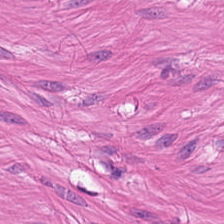H&E-stained tissue section. Showing smooth-muscle tissue.
